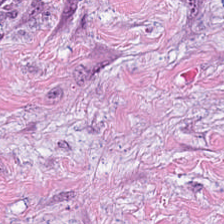Hematoxylin and eosin. 0.5 µm/px. The predominant tissue is cancer-associated stroma.
